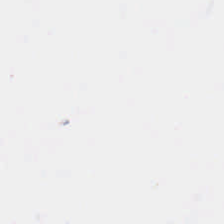Hematoxylin-and-eosin stained section.
Background — no tissue in this field.
